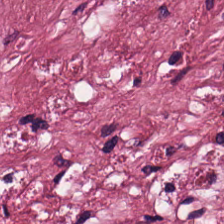H&E stain.
Predominantly tumor stroma.
